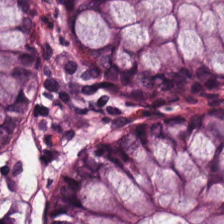H&E stain. The predominant tissue is benign colonic mucosa.
